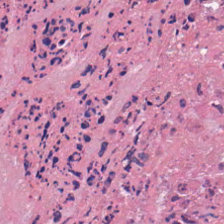H&E-stained tissue section. Tissue — necrotic debris.
